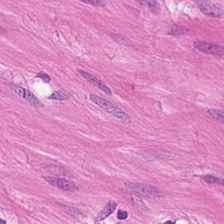Muscularis.
